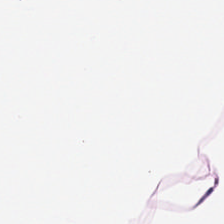0.5 microns per pixel. H&E-stained tissue section. 224×224 pixel tile — Predominant tissue — adipose tissue.
